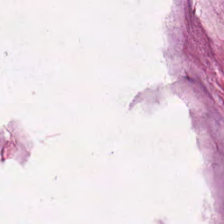FFPE tissue section; hematoxylin and eosin — The predominant tissue is mucin.
